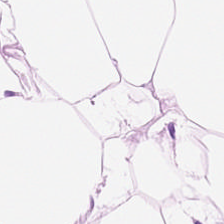Whole-slide-image patch. H&E stain. FFPE tissue section.
The tissue class is adipose tissue.
